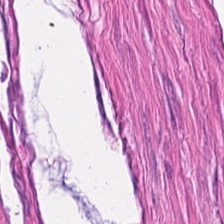H&E; brightfield microscopy.
Tissue type = muscularis.
